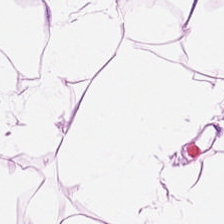H&E-stained tissue section. The tissue is adipocytes.
